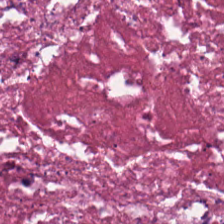H&E-stained tissue section showing cellular debris.
